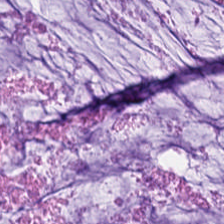Hematoxylin-and-eosin stained section. FFPE tissue section. Tissue type = extracellular mucin.
